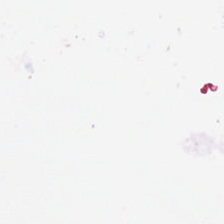Finding — background.
